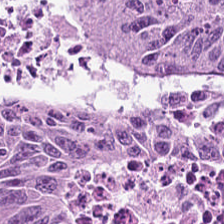H&E.
Classification: tumor epithelium.
